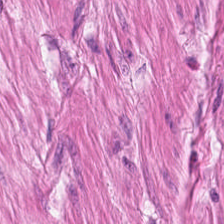WSI patch; H&E stain; 224×224 px tile. Q: What type of tissue is this?
A: It is muscularis.
